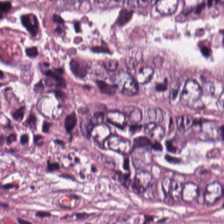Classification = tumor epithelium.
